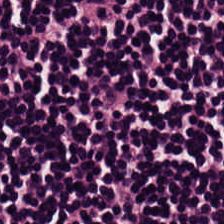Stain: H&E.
Preparation: FFPE.
Classification: lymphoid infiltrate.
